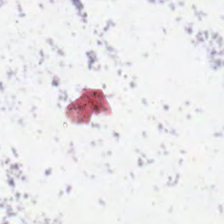Formalin-fixed paraffin-embedded section. Hematoxylin and eosin. Whole-slide-image patch. This patch shows no tissue.
